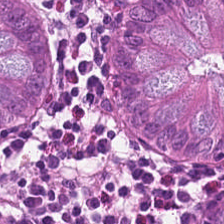Hematoxylin and eosin — The predominant tissue is normal colonic mucosa.
